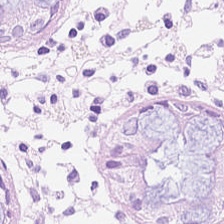Stain: H&E.
Resolution: 20× equivalent magnification.
Tissue class: non-neoplastic colon mucosa.
